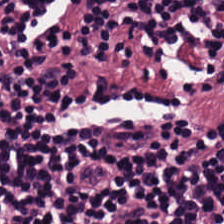This patch shows lymphocytic infiltrate.
